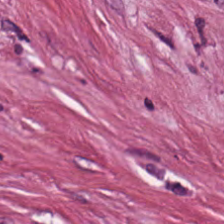0.5 µm per pixel · H&E stain.
Tissue: cancer-associated stroma.
